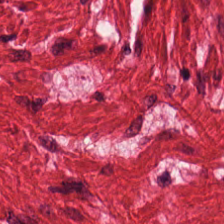H&E-stained tissue section.
{"tissue_type": "muscularis"}
